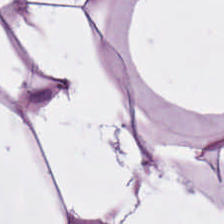H&E stain — The tissue type is fat tissue.
